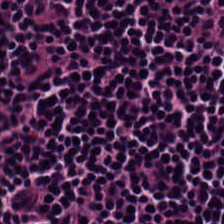H&E — This field is lymphocytic infiltrate.
